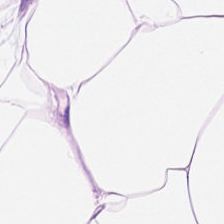H&E — Q: What type of tissue is this?
A: It is adipose tissue.
